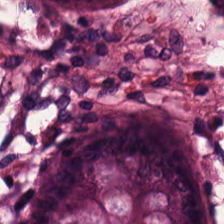Hematoxylin and eosin; FFPE tissue section — Q: Identify the tissue.
A: Normal colonic mucosa.
